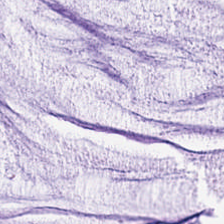Hematoxylin-and-eosin stained section. Q: Classify this patch.
A: It is mucin.
